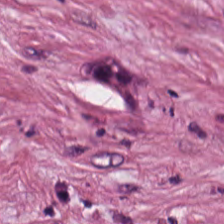20× equivalent magnification. Hematoxylin-and-eosin stained section. WSI patch — This patch shows cancer-associated stroma.
